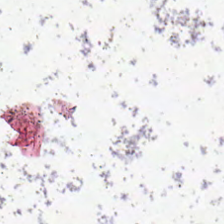No tissue present; background only.
